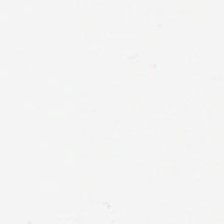Hematoxylin and eosin · WSI patch.
Finding → empty background.
